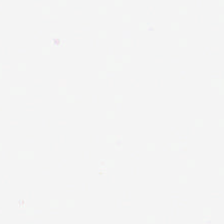Hematoxylin and eosin — Finding — empty background.
